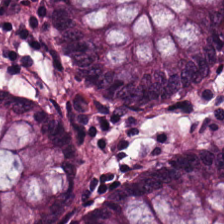Hematoxylin and eosin.
Tissue type = non-neoplastic colon mucosa.
